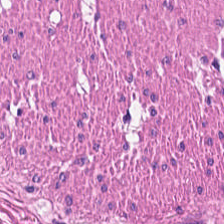Impression → smooth-muscle tissue.
